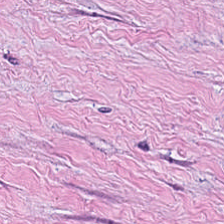FFPE. Hematoxylin-and-eosin stained section — Q: What type of tissue is this?
A: The field shows tumor-associated stroma.
